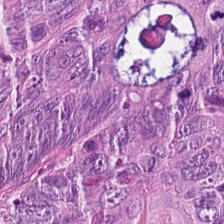H&E · 0.5 microns per pixel · brightfield microscopy. Tissue = colorectal adenocarcinoma epithelium.
